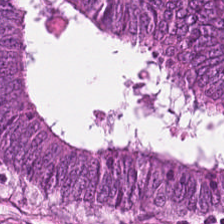H&E — adenocarcinoma.
